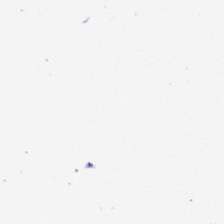Hematoxylin-and-eosin stained section. 20× equivalent magnification. Formalin-fixed paraffin-embedded section. Background — no tissue in this field.
